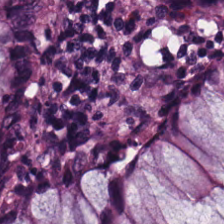Q: What tissue is shown?
A: Benign colonic mucosa.
